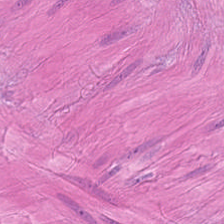H&E — This field is smooth-muscle tissue.
